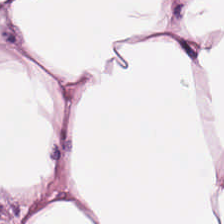H&E — Predominantly fat tissue.
